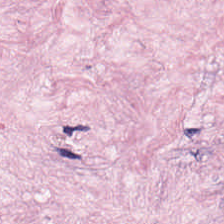Stain: hematoxylin-and-eosin stained section.
Predominant tissue: desmoplastic stroma.
